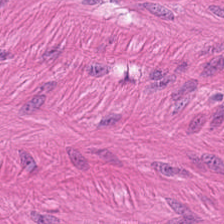Muscularis.
